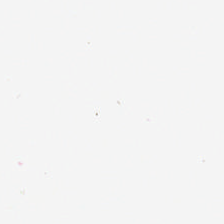H&E.
Q: What does this patch show?
A: This is empty background.
